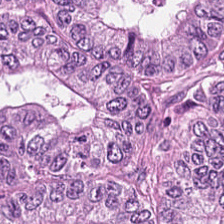20× equivalent magnification · H&E · formalin-fixed paraffin-embedded section.
The predominant tissue is colorectal adenocarcinoma epithelium.
